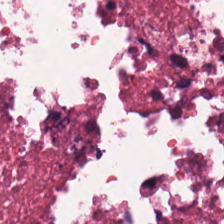Stain: hematoxylin-and-eosin stained section.
Preparation: FFPE tissue section.
Tissue class: cellular debris.
